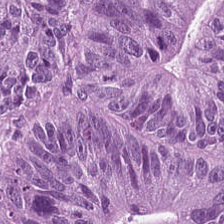H&E-stained tissue section; 20× equivalent magnification — The predominant tissue is colorectal adenocarcinoma.
